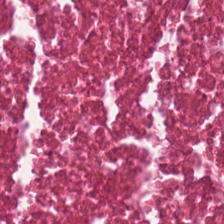Classification — cellular debris.
